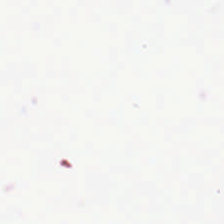Hematoxylin-and-eosin stained section. This patch shows no tissue.
